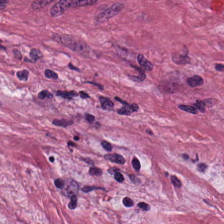Predominant tissue: tumor stroma.
